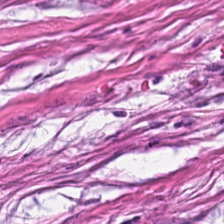20× equivalent magnification · H&E-stained tissue section · FFPE — Impression → desmoplastic stroma.
